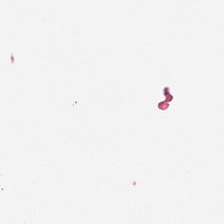Q: Classify this patch.
A: Background.
